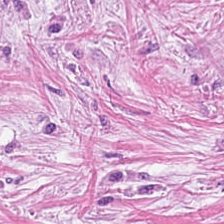H&E stain. Tissue type = desmoplastic stroma.
